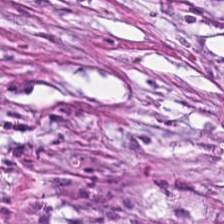The tissue class is cancer-associated stroma.
